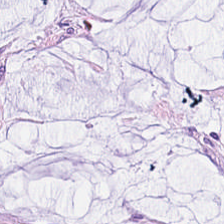H&E stain.
{"tissue_type": "mucus"}
